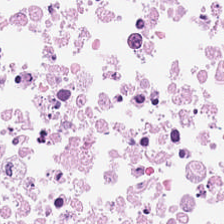Stain: hematoxylin-and-eosin stained section.
Classification: cellular debris.
